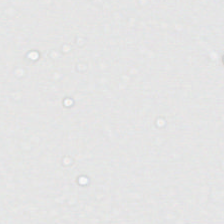Stain: hematoxylin and eosin.
Classification: background (no tissue).
